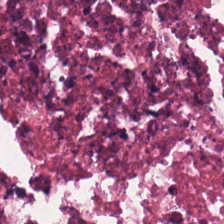This field is cellular debris.
